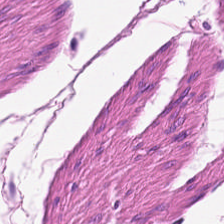The tissue here is muscularis.
